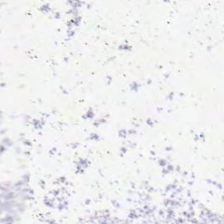H&E. Impression — background.
